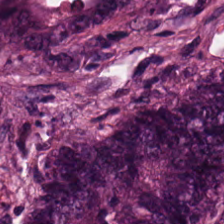Tissue class: tumor epithelium.
